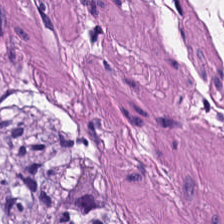Brightfield. H&E stain. Q: What tissue type is shown here?
A: This is smooth-muscle tissue.
